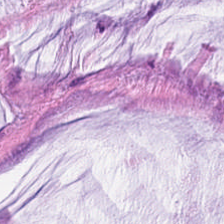Hematoxylin and eosin; 0.5 µm per pixel — The predominant tissue is mucus.
